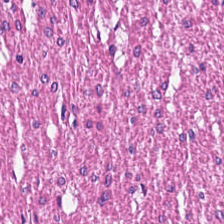Hematoxylin and eosin. The predominant tissue is smooth muscle.
